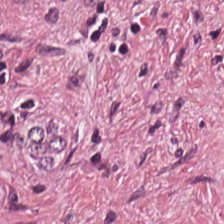FFPE. H&E-stained tissue section. Predominant tissue — cancer-associated stroma.
